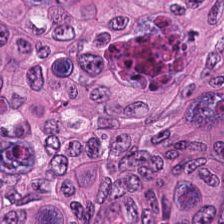{"tissue_type": "colorectal adenocarcinoma epithelium"}
